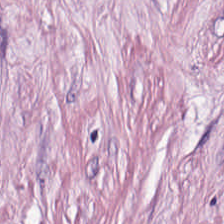Stain: H&E-stained tissue section.
Classification: desmoplastic stroma.
